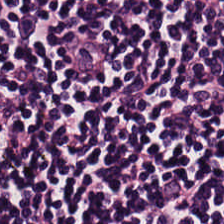Tissue class = lymphocytic infiltrate.
